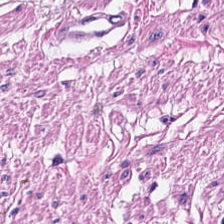H&E. Predominant tissue — smooth-muscle tissue.
